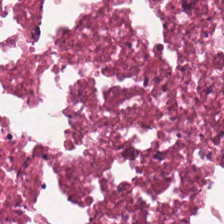H&E.
Tissue = debris.
